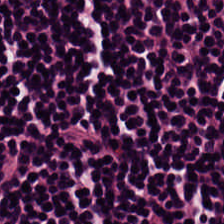H&E-stained tissue section · brightfield. Q: What is shown in this field?
A: This is lymphocytic infiltrate.
